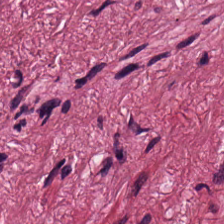Formalin-fixed paraffin-embedded section · hematoxylin-and-eosin stained section.
Tissue type — tumor stroma.
